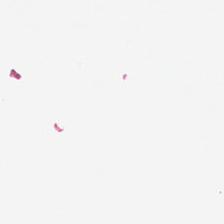H&E. {"content": "empty background"}
